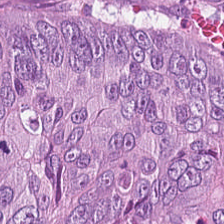Hematoxylin and eosin. FFPE tissue section. 224×224 px patch — Predominantly adenocarcinoma.
